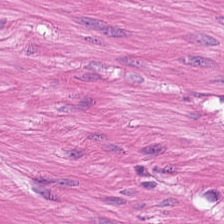Hematoxylin-and-eosin stained section.
Tissue class — smooth muscle.
